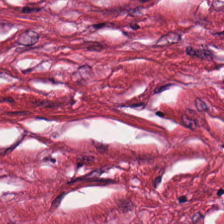Stain: H&E-stained tissue section.
Acquisition: whole-slide-image patch.
Resolution: 20× equivalent magnification.
Predominant tissue: desmoplastic stroma.
